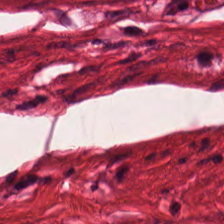Whole-slide-image patch. H&E. 0.5 µm per pixel. The tissue is muscularis.
